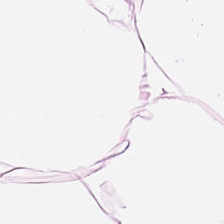Stain: hematoxylin-and-eosin stained section.
Predominant tissue: adipose.
